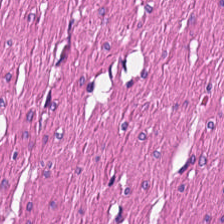H&E-stained section; the field shows muscularis.
